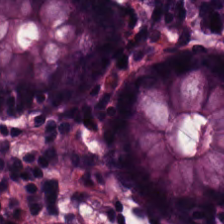Hematoxylin and eosin — Tissue class — normal colon mucosa.
